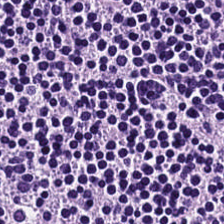224×224 px tile · H&E-stained tissue section.
Tissue class: lymphocyte aggregate.
